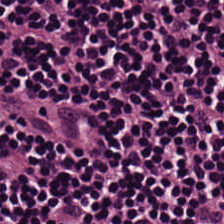Q: What is the predominant tissue type?
A: This is lymphocytic infiltrate.
